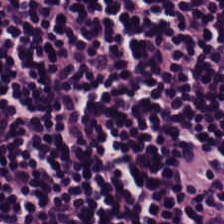H&E-stained tissue section. FFPE tissue section. {"tissue_type": "lymphoid infiltrate"}
